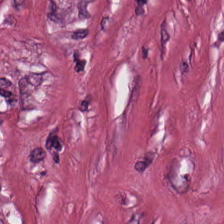FFPE. H&E-stained tissue section. Q: What tissue is shown?
A: Cancer-associated stroma.
